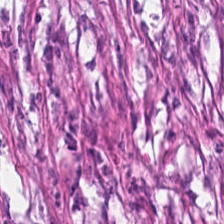H&E stain.
Classification = cancer-associated stroma.
